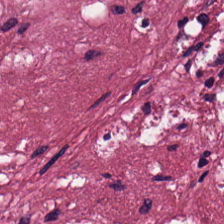Hematoxylin and eosin.
Q: What tissue is shown?
A: It is cancer-associated stroma.
